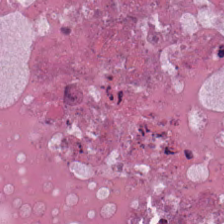Stain: H&E stain.
Resolution: 0.5 microns per pixel.
Predominant tissue: debris.
